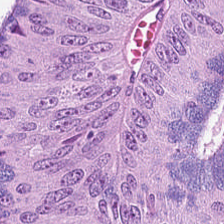Hematoxylin-and-eosin stained section; 224×224 px tile.
Tissue — tumor epithelium.
